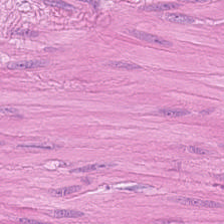Hematoxylin-and-eosin stained section — This patch shows muscularis.
